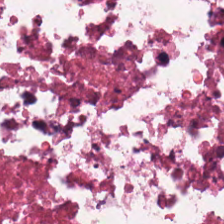Hematoxylin and eosin.
Necrotic debris.
